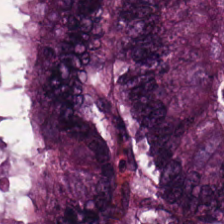Stain: H&E.
Predominant tissue: colorectal adenocarcinoma.
